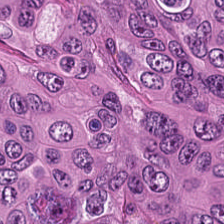224×224 px tile. Hematoxylin-and-eosin stained section. FFPE.
Classification — colorectal adenocarcinoma epithelium.
